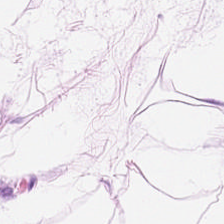Tissue — adipose.
